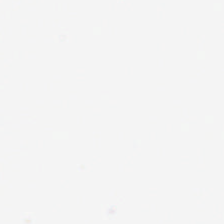H&E stain · 224×224 pixel tile — Content = empty background.
